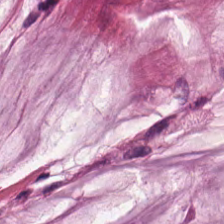Q: Classify this patch.
A: Extracellular mucin.
